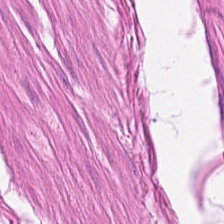H&E-stained tissue section showing smooth muscle.
